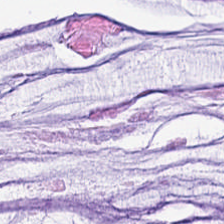H&E stain. FFPE tissue section.
Q: What is shown here?
A: The field shows mucin.
